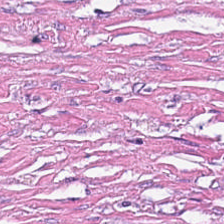Stain: hematoxylin and eosin.
Tissue: tumor stroma.
